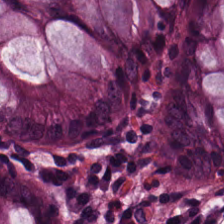0.5 µm per pixel · hematoxylin-and-eosin stained section. Q: What is shown in this field?
A: It is normal colon mucosa.
